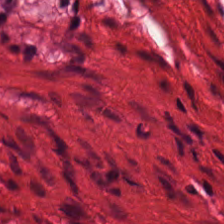Hematoxylin and eosin — Q: What tissue type is shown here?
A: This is smooth muscle.
